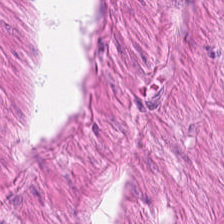H&E patch showing smooth-muscle tissue.
